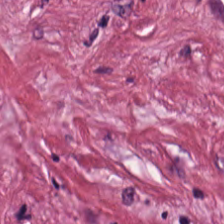Hematoxylin-and-eosin stained section — This field is tumor stroma.
